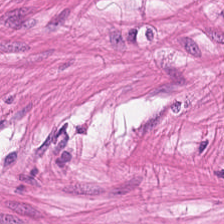H&E-stained section; the field shows smooth-muscle tissue.
